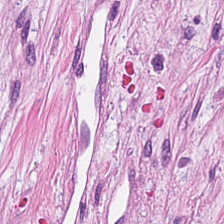Hematoxylin and eosin — This patch shows desmoplastic stroma.
